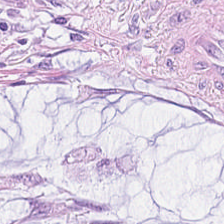{"tissue_type": "extracellular mucin"}
